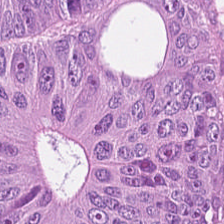20× equivalent magnification; H&E. Q: What is shown here?
A: This is adenocarcinoma.
